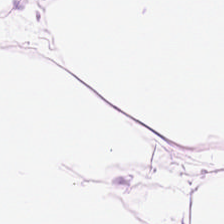Stain: hematoxylin-and-eosin stained section.
Tissue: adipocytes.
